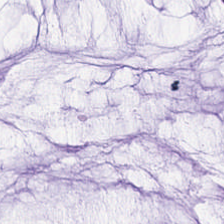H&E.
Finding → mucus.
